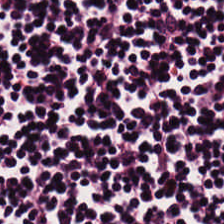Tissue type — lymphoid infiltrate.
